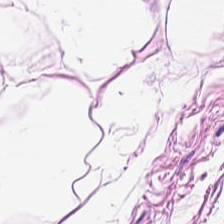Q: What tissue type is shown here?
A: This is adipocytes.
